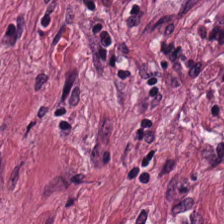Hematoxylin-and-eosin stained section. The tissue here is cancer-associated stroma.
